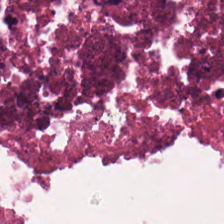This patch shows debris.
